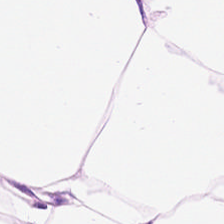H&E-stained tissue section. This field is adipose tissue.
